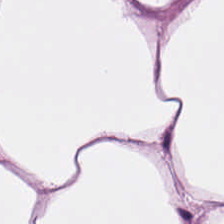Q: What type of tissue is this?
A: The field shows adipose.
